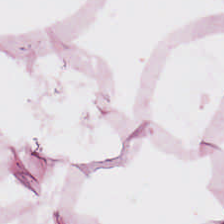This patch shows adipose tissue.
